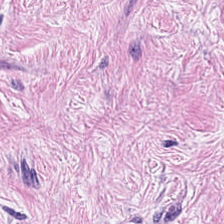Tissue type: desmoplastic stroma.
